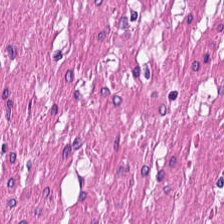H&E stain — Predominant tissue — muscularis.
